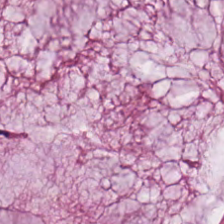Whole-slide-image patch. 0.5 µm/px. H&E stain — {"tissue_type": "mucin"}
